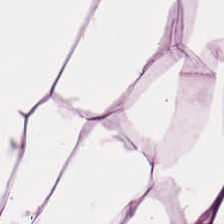The predominant tissue is adipocytes.
